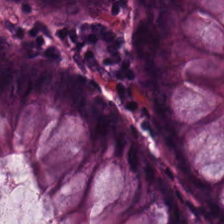FFPE; H&E stain; brightfield microscopy.
Tissue type = benign colonic mucosa.
